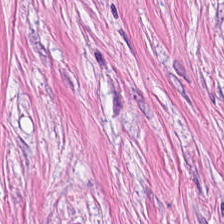Q: What is shown in this field?
A: Tumor stroma.
